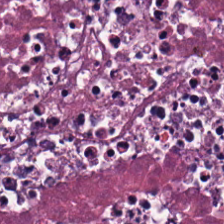Stain: hematoxylin and eosin.
Acquisition: brightfield.
Tile size: 224×224 pixel tile.
Predominant tissue: debris.
